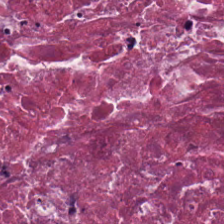Stain: H&E.
Tissue type: necrotic debris.
